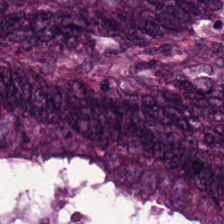H&E-stained tissue section.
Colorectal adenocarcinoma.
